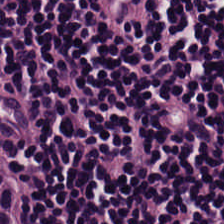Stain: hematoxylin and eosin.
Tissue: lymphocyte aggregate.
